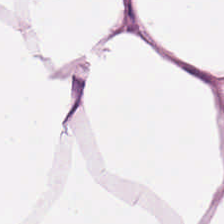This patch shows adipocytes.
